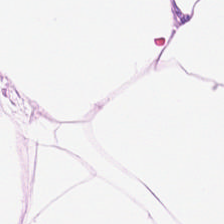H&E; 0.5 microns per pixel.
Classification: adipocytes.
